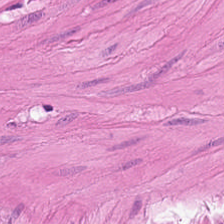Q: What is shown in this field?
A: The field shows smooth-muscle tissue.
